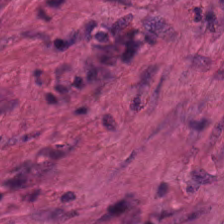H&E.
The predominant tissue is muscularis.
